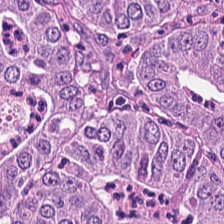H&E stain — Q: What is shown here?
A: The field shows colorectal adenocarcinoma epithelium.
